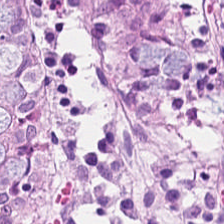Non-neoplastic colon mucosa.
